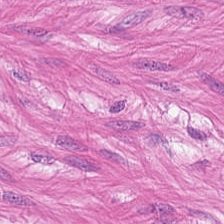H&E. Smooth muscle.
